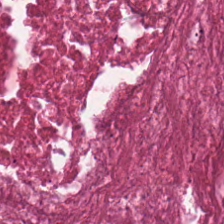H&E stain · 224×224 px tile — Necrotic debris.
